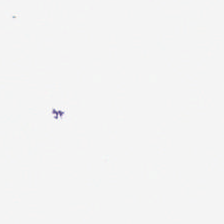H&E-stained tissue section — Background — no tissue in this field.
